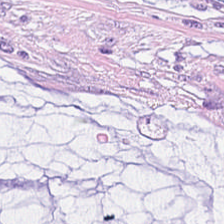Hematoxylin-and-eosin stained section. Q: What is shown in this field?
A: Extracellular mucin.
